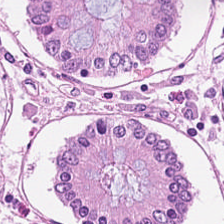Stain: hematoxylin and eosin.
Predominant tissue: normal colon mucosa.
